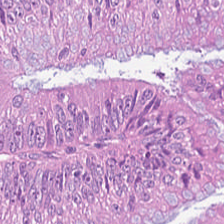H&E stain.
Q: What tissue type is shown here?
A: The field shows malignant epithelium.
